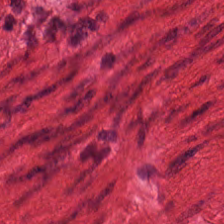The tissue here is muscularis.
